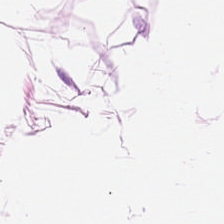Stain: H&E-stained tissue section.
Tissue type: adipocytes.
